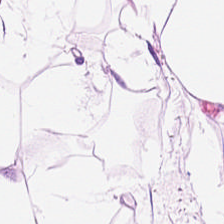H&E-stained tissue section; whole-slide-image patch — The tissue here is adipocytes.
